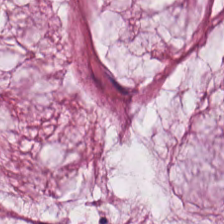H&E · 224×224 px patch.
The predominant tissue is mucin.
